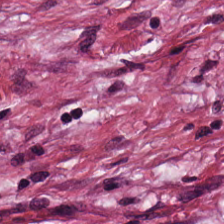H&E stain.
Tumor stroma.
